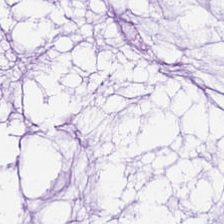FFPE tissue section · H&E-stained tissue section · 20× equivalent magnification. Q: What does this patch show?
A: The field shows extracellular mucin.
